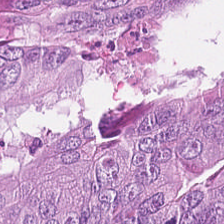Brightfield · hematoxylin and eosin.
Classification: malignant epithelium.
